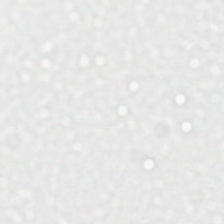H&E — The classification is background.
